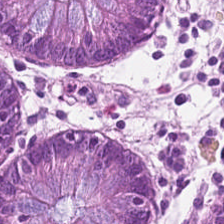H&E — non-neoplastic colon mucosa.
